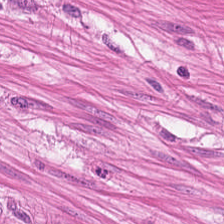Hematoxylin-and-eosin stained section · formalin-fixed paraffin-embedded section. Classification: smooth muscle.
